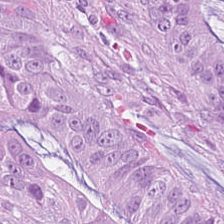H&E stain. FFPE.
Adenocarcinoma.
